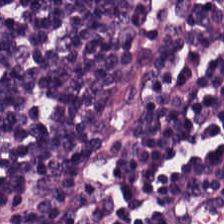Classification: lymphocytes.
